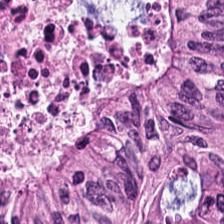Hematoxylin-and-eosin stained section.
Q: Identify the tissue.
A: It is colorectal adenocarcinoma.
